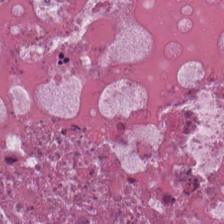H&E stain · 20× equivalent magnification · 224×224 px tile.
This patch shows cellular debris.
